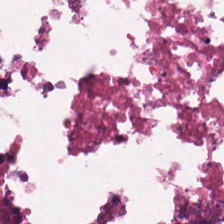Tissue — cellular debris.
